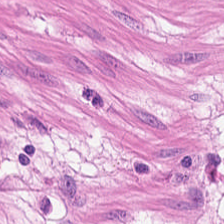H&E. Brightfield microscopy.
Showing smooth muscle.
